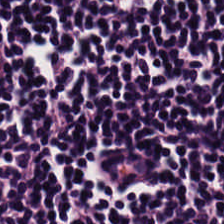Stain: hematoxylin-and-eosin stained section.
Tissue type: lymphocytes.
